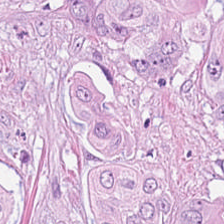H&E stain. Histology — adenocarcinoma.
